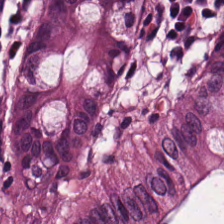H&E. This field is benign colonic mucosa.
